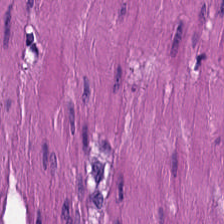Tissue type: smooth-muscle tissue.
